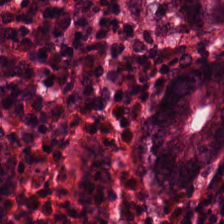Stain: hematoxylin-and-eosin stained section.
Acquisition: brightfield microscopy.
Tissue type: normal colonic mucosa.
